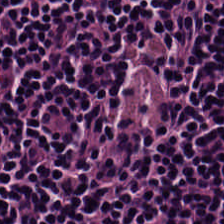H&E-stained tissue section.
Tissue = lymphocytes.
